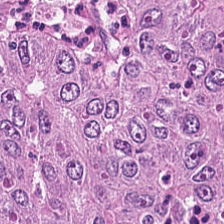H&E · 224×224 pixel tile. {"tissue_type": "colorectal adenocarcinoma"}
